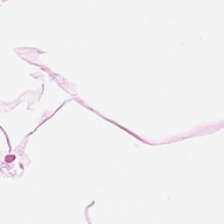Stain: hematoxylin and eosin.
Preparation: FFPE tissue section.
Predominant tissue: fat tissue.
